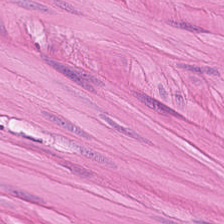H&E. 0.5 microns per pixel. Whole-slide-image patch.
Classification = smooth muscle.
